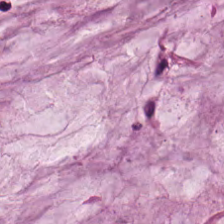Predominant tissue — extracellular mucin.
